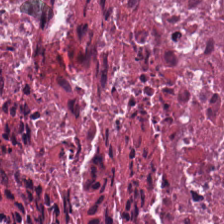224×224 px patch · H&E — Q: Identify the tissue.
A: Cellular debris.
